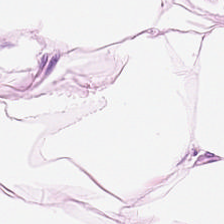The predominant tissue is fat tissue.
